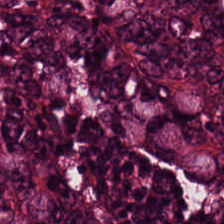H&E-stained tissue section. 20× equivalent magnification — Histology — tumor epithelium.
